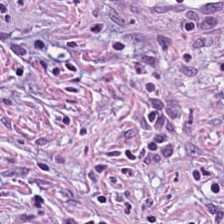Hematoxylin-and-eosin stained section.
Tissue type — desmoplastic stroma.
